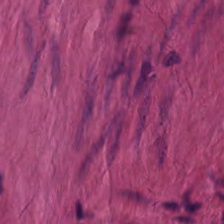H&E stain. Formalin-fixed paraffin-embedded section — This patch shows smooth-muscle tissue.
